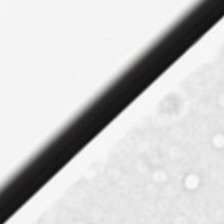Histology — no tissue.
